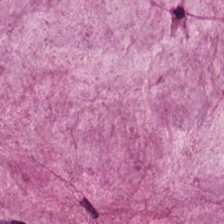H&E.
Tissue: extracellular mucin.
